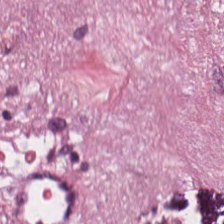Hematoxylin-and-eosin stained section — Tissue: cancer-associated stroma.
